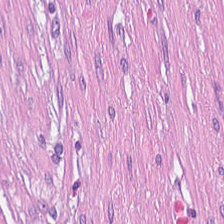H&E.
Showing cancer-associated stroma.
